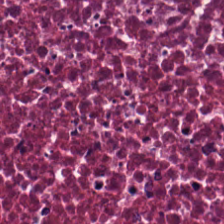224×224 px tile · H&E stain — The tissue here is debris.
